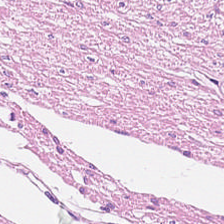{"tissue_type": "smooth-muscle tissue"}
